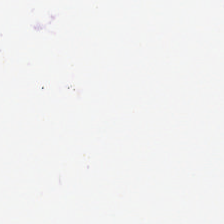WSI patch. Hematoxylin-and-eosin stained section.
Content = empty background.
